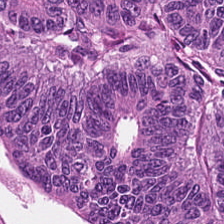H&E stain. Tissue class — adenocarcinoma.
